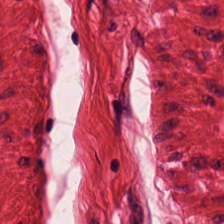Formalin-fixed paraffin-embedded section; H&E stain.
Q: What tissue type is shown here?
A: It is smooth-muscle tissue.
